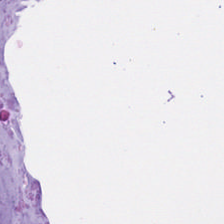H&E stain.
Mucus.
